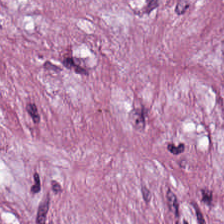WSI patch · H&E stain · FFPE. {"tissue_type": "tumor-associated stroma"}
